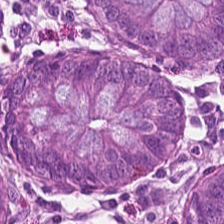Hematoxylin-and-eosin stained section.
Tissue type: normal colonic mucosa.
